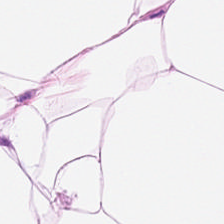H&E; whole-slide-image patch.
Predominantly adipose tissue.
